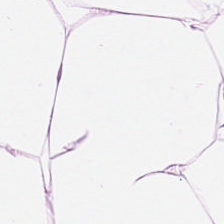0.5 µm/px · hematoxylin and eosin.
Finding — adipocytes.
